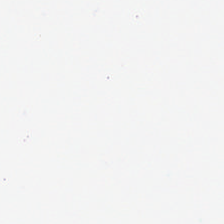The content is background.
